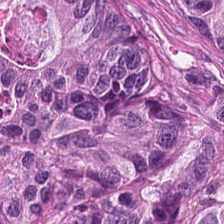Histology — colorectal adenocarcinoma epithelium.
